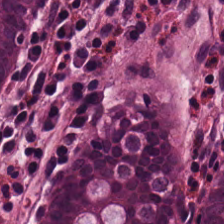Whole-slide-image patch; H&E. Impression — normal colonic mucosa.
